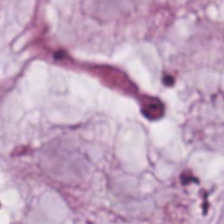H&E stain; FFPE. {"tissue_type": "mucin"}
